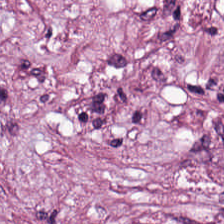Hematoxylin and eosin. Predominant tissue — cancer-associated stroma.
